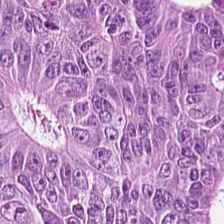Stain: hematoxylin and eosin.
Tissue type: malignant epithelium.
